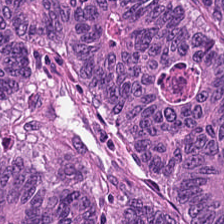Brightfield microscopy. H&E-stained tissue section.
This patch shows tumor epithelium.
